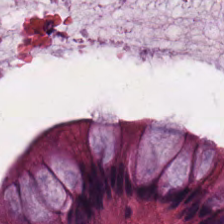Formalin-fixed paraffin-embedded section · hematoxylin-and-eosin stained section. Histology — normal colonic mucosa.
